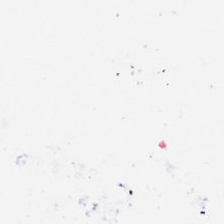Hematoxylin and eosin — This patch shows background.
